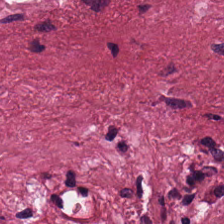H&E stain. Brightfield microscopy.
Q: What tissue is shown?
A: The field shows cancer-associated stroma.
